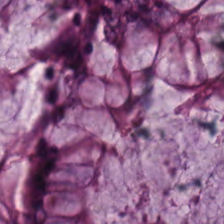H&E stain. This patch shows normal colonic mucosa.
